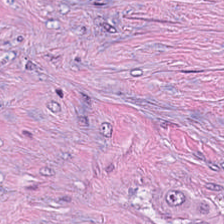0.5 microns per pixel · FFPE · H&E stain.
Classification — tumor-associated stroma.
